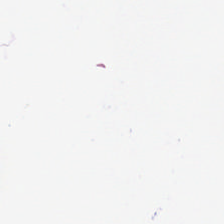Background — no tissue in this field.
